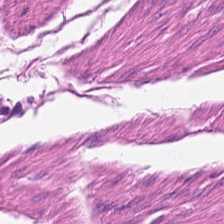H&E stain.
Classification = smooth-muscle tissue.
